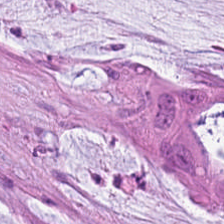Hematoxylin and eosin; 224×224 px tile; formalin-fixed paraffin-embedded section — Q: Classify this patch.
A: Extracellular mucin.
